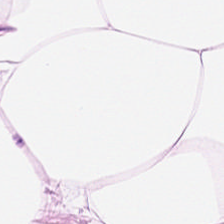Hematoxylin-and-eosin stained section. Q: What is the predominant tissue type?
A: Adipose tissue.
